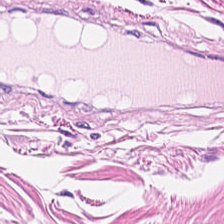Brightfield microscopy; hematoxylin and eosin — The predominant tissue is muscularis.
